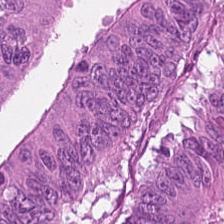224×224 px patch · H&E-stained tissue section · formalin-fixed paraffin-embedded section — Tissue class — malignant epithelium.
